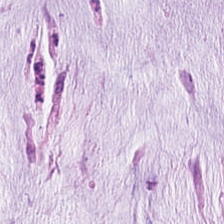Hematoxylin and eosin. Q: What tissue type is shown here?
A: This is mucus.
